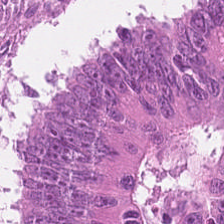Classification — tumor epithelium.
